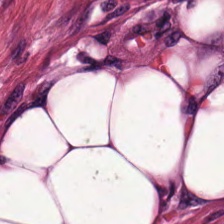Hematoxylin-and-eosin stained section.
Showing tumor-associated stroma.
